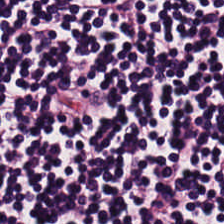0.5 microns per pixel. H&E — The tissue here is lymphocytes.
